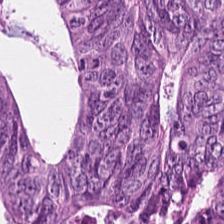WSI patch · H&E-stained tissue section — This patch shows colorectal adenocarcinoma.
